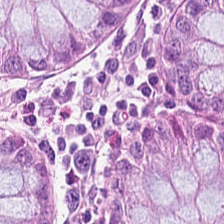0.5 microns per pixel; WSI patch; H&E stain — Q: What is shown here?
A: This is normal colonic mucosa.
